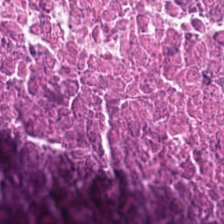H&E stain · formalin-fixed paraffin-embedded section.
The tissue here is debris.
